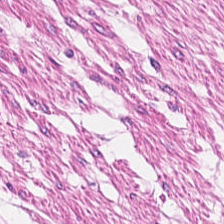Hematoxylin and eosin.
The predominant tissue is muscularis.
